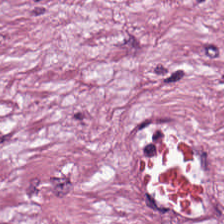Classification — desmoplastic stroma.
